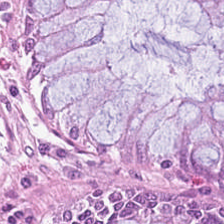Benign colonic mucosa.
